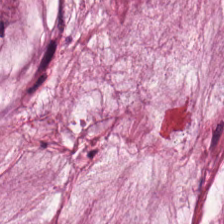H&E stain · 0.5 µm/px.
Histology → mucus.
